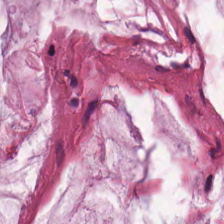H&E · FFPE tissue section.
Tissue = mucin.
